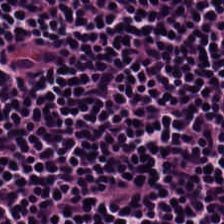Hematoxylin and eosin — Showing lymphocyte aggregate.
